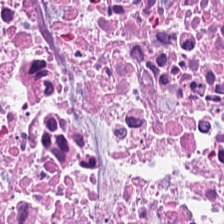Hematoxylin-and-eosin stained section. FFPE. This patch shows debris.
